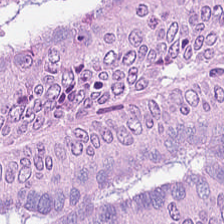Predominantly colorectal adenocarcinoma.
